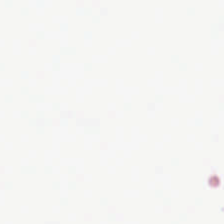H&E. FFPE tissue section. Background — no tissue in this field.
